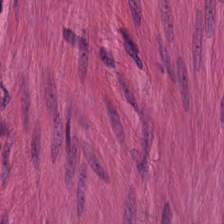224×224 px patch · H&E.
Q: Classify this patch.
A: Muscularis.
